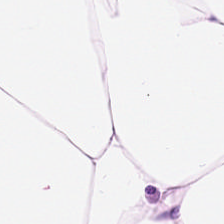Stain: H&E-stained tissue section.
Tissue type: fat tissue.
